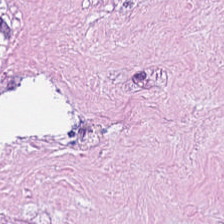224×224 px patch. 0.5 µm per pixel. H&E-stained tissue section.
The predominant tissue is debris.
